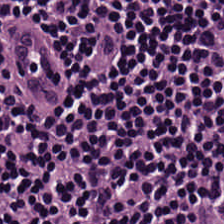Hematoxylin-and-eosin stained section. 0.5 microns per pixel.
Q: What is shown here?
A: The field shows lymphocytic infiltrate.
